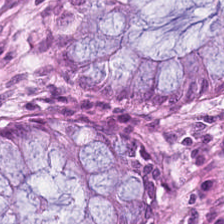224×224 pixel tile · FFPE tissue section · hematoxylin and eosin — Q: What tissue type is shown here?
A: The field shows normal colonic mucosa.
